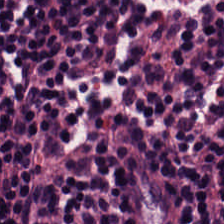Formalin-fixed paraffin-embedded section; H&E-stained tissue section. This field is lymphocyte aggregate.
